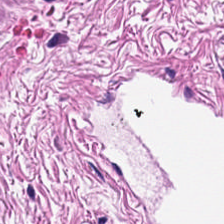Hematoxylin-and-eosin stained section. Q: Identify the tissue.
A: Smooth-muscle tissue.
